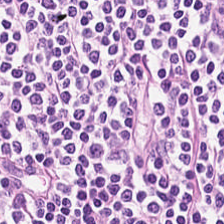Hematoxylin and eosin.
Q: What is the predominant tissue type?
A: It is lymphocyte aggregate.
